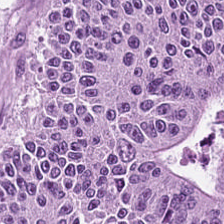H&E stain.
Predominantly adenocarcinoma.
